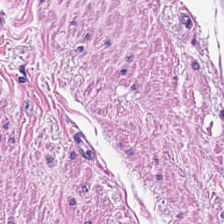H&E. Histology — smooth muscle.
